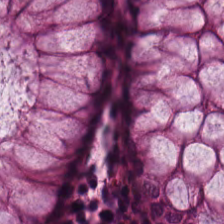The tissue here is normal colonic mucosa.
